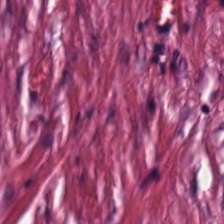Hematoxylin and eosin.
Histology — desmoplastic stroma.
